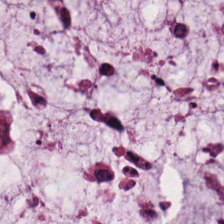H&E. Tissue type: mucin.
